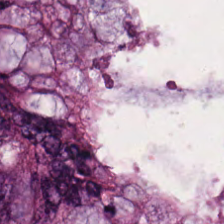Stain: H&E-stained tissue section.
Tissue: extracellular mucin.
